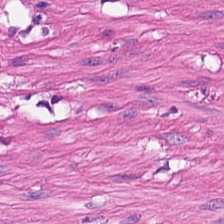H&E. The classification is muscularis.
